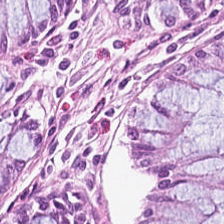Hematoxylin and eosin — Histology → normal colon mucosa.
